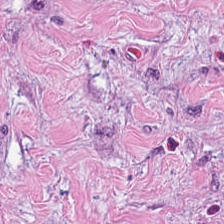WSI patch. H&E stain — This patch shows desmoplastic stroma.
